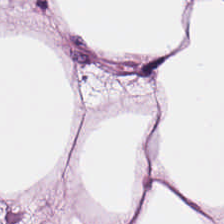Tissue class — adipose tissue.
